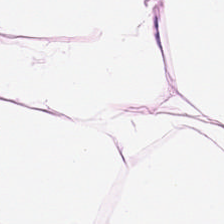Stain: hematoxylin-and-eosin stained section.
Preparation: formalin-fixed paraffin-embedded section.
Classification: fat tissue.
